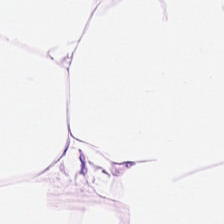Impression — fat tissue.
